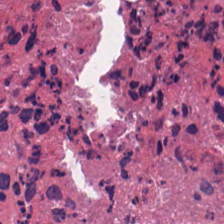Tissue type — cellular debris.
